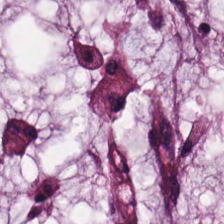Stain: H&E.
Classification: mucin.
